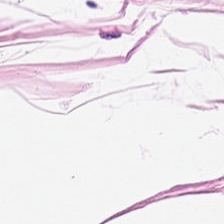Whole-slide-image patch; hematoxylin-and-eosin stained section.
Tissue class: adipose tissue.
